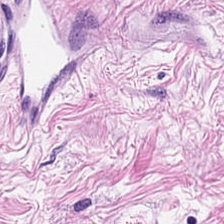Cancer-associated stroma.
